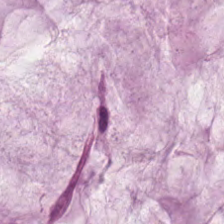H&E stain; 0.5 µm per pixel. Predominant tissue: extracellular mucin.
